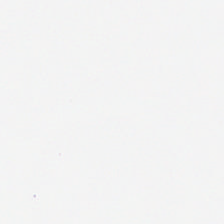Q: What is shown in this field?
A: It is no tissue.
